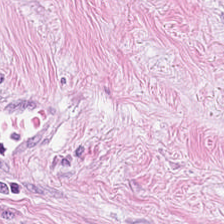Tissue class = cancer-associated stroma.
